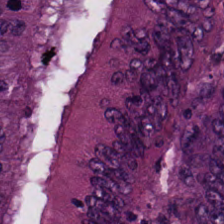H&E-stained tissue section — The tissue class is colorectal adenocarcinoma.
